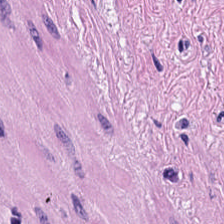Hematoxylin and eosin. FFPE tissue section — Q: What type of tissue is this?
A: Smooth muscle.
